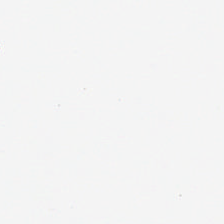Q: Classify this patch.
A: This is no tissue.
